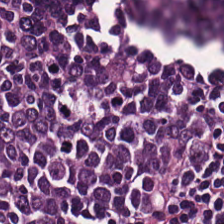H&E-stained tissue section — Tissue type = lymphocytes.
